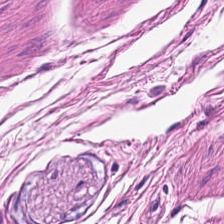H&E-stained tissue section. Tissue type — smooth muscle.
